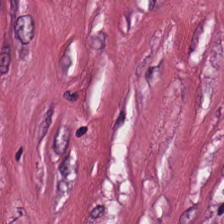H&E-stained tissue section. 224×224 pixel tile. 0.5 µm/px. Q: What is shown in this field?
A: It is tumor stroma.
